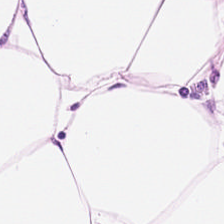Tissue — adipocytes.
